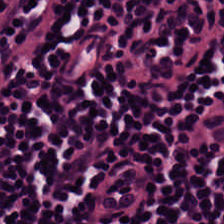Stain: hematoxylin and eosin.
Classification: lymphoid infiltrate.
